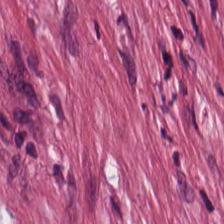H&E; FFPE tissue section.
The tissue here is tumor stroma.
